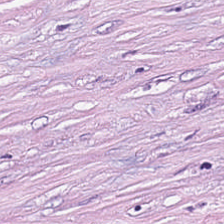Hematoxylin-and-eosin stained section; 224×224 pixel tile.
Cancer-associated stroma.
